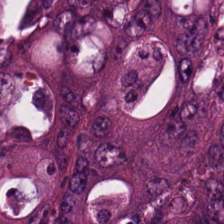H&E; 20× equivalent magnification — Q: What is shown here?
A: This is colorectal adenocarcinoma.
